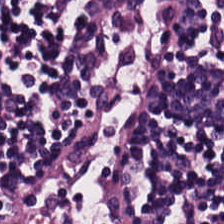H&E-stained tissue section.
The predominant tissue is lymphocyte aggregate.
